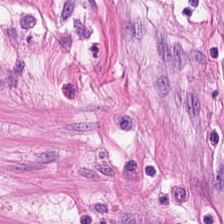Tissue = muscularis.
